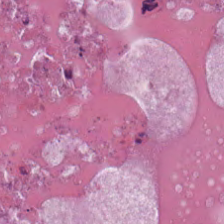Hematoxylin and eosin — Finding → debris.
